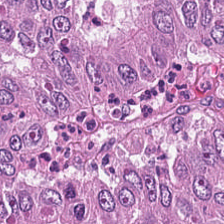{"tissue_type": "colorectal adenocarcinoma"}
